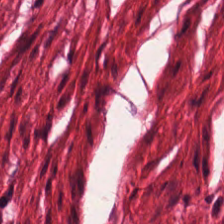Stain: H&E.
Acquisition: whole-slide-image patch.
Predominant tissue: smooth muscle.
